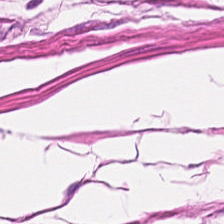224×224 pixel tile · hematoxylin-and-eosin stained section.
Histology — smooth muscle.
